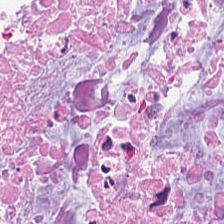H&E-stained tissue section. Finding — debris.
